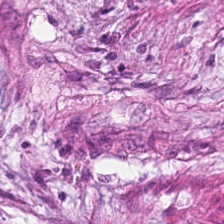H&E; formalin-fixed paraffin-embedded section. The predominant tissue is cancer-associated stroma.
